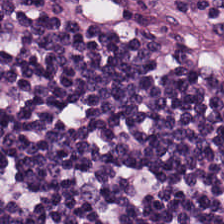H&E-stained tissue section · 224×224 pixel tile — {"tissue_type": "lymphoid infiltrate"}
